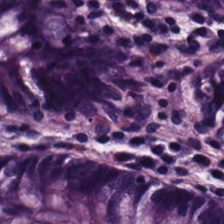Tissue = benign colonic mucosa.
